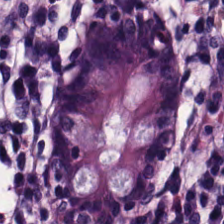The predominant tissue is normal colon mucosa.
